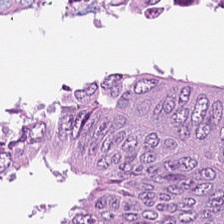0.5 microns per pixel. Whole-slide-image patch. H&E-stained tissue section.
The tissue is colorectal adenocarcinoma epithelium.
